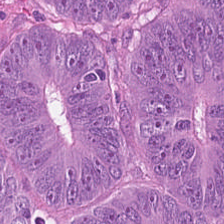20× equivalent magnification. H&E stain. 224×224 px patch. Showing colorectal adenocarcinoma epithelium.
